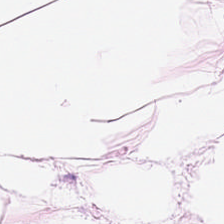Q: What is the predominant tissue type?
A: It is fat tissue.
